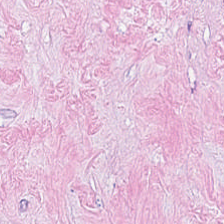FFPE tissue section · H&E-stained tissue section.
Predominantly tumor-associated stroma.
